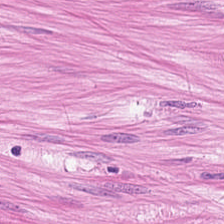WSI patch; H&E stain; 0.5 microns per pixel. Tissue — smooth muscle.
